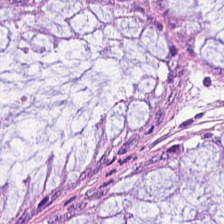Hematoxylin and eosin — Predominant tissue = normal colonic mucosa.
